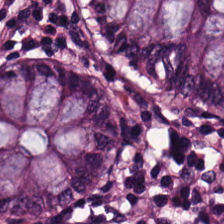Brightfield · 20× equivalent magnification · hematoxylin-and-eosin stained section.
Showing normal colonic mucosa.
